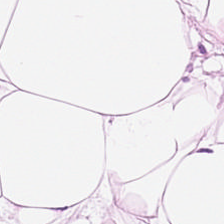Stain: H&E-stained tissue section.
Acquisition: WSI patch.
Tissue type: fat tissue.
